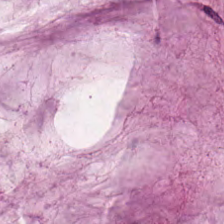Classification = mucin.
